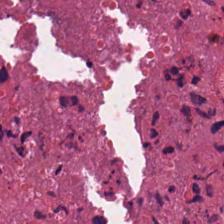Q: What is shown in this field?
A: The field shows cellular debris.
